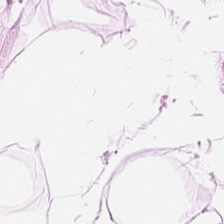The classification is fat tissue.
